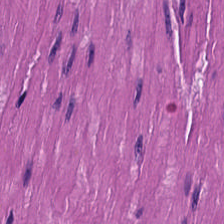Hematoxylin and eosin; 224×224 pixel tile. Tissue = muscularis.
